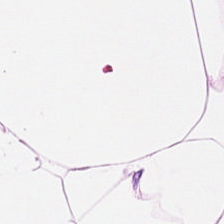Hematoxylin and eosin — Impression → adipose tissue.
